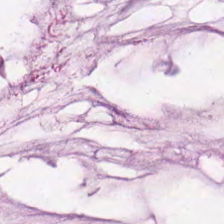Hematoxylin-and-eosin stained section · 0.5 microns per pixel — Mucus.
